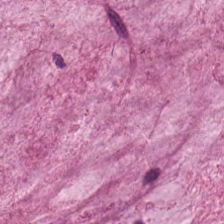Tissue type: extracellular mucin.
